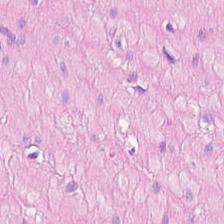Hematoxylin and eosin · formalin-fixed paraffin-embedded section. Predominantly smooth-muscle tissue.
